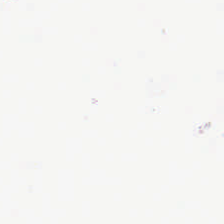Hematoxylin-and-eosin stained section — Content: background (no tissue).
